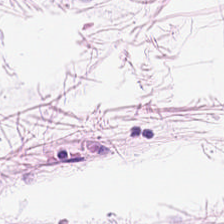H&E stain. Impression — adipose.
